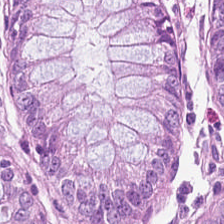Brightfield; H&E.
Histology → normal colon mucosa.
